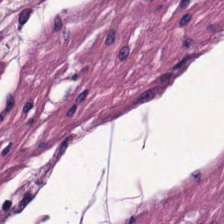Tissue: smooth-muscle tissue.
